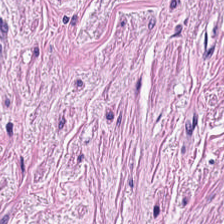Hematoxylin-and-eosin stained section — Tissue class — muscularis.
